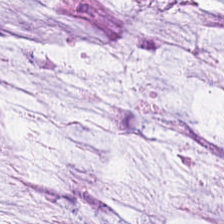Predominant tissue — extracellular mucin.
